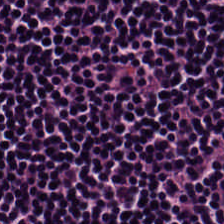Hematoxylin-and-eosin stained section. Predominantly lymphocytes.
